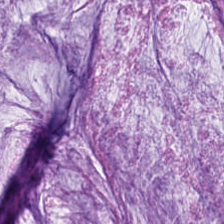H&E-stained tissue section showing mucus.
